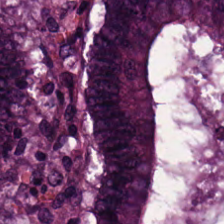0.5 µm/px. H&E. Showing colorectal adenocarcinoma.
